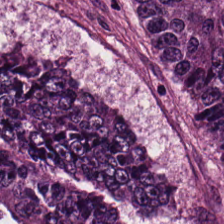Hematoxylin and eosin — Classification — colorectal adenocarcinoma.
